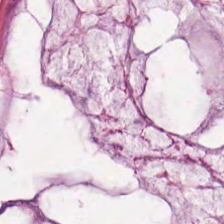H&E-stained tissue section showing mucus.
